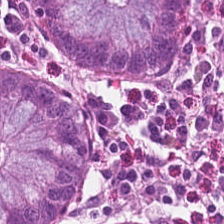Formalin-fixed paraffin-embedded section; H&E stain.
This field is normal colonic mucosa.
